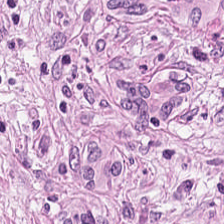H&E-stained tissue section · brightfield — Q: What type of tissue is this?
A: Cancer-associated stroma.
